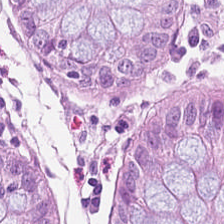Q: What does this patch show?
A: The field shows normal colon mucosa.
